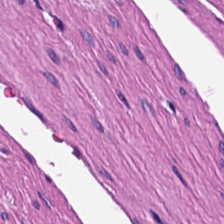0.5 microns per pixel; hematoxylin-and-eosin stained section — Predominant tissue — smooth-muscle tissue.
